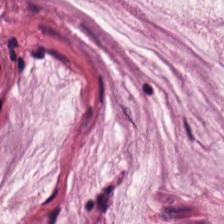H&E · FFPE · 0.5 µm/px. This field is extracellular mucin.
